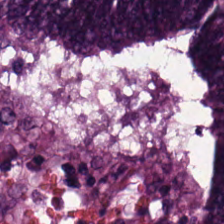H&E. 0.5 µm/px — This patch shows colorectal adenocarcinoma.
